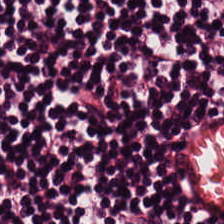Hematoxylin-and-eosin stained section — Q: What is shown in this field?
A: Lymphocytes.
